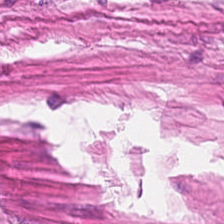Hematoxylin-and-eosin stained section — Showing smooth-muscle tissue.
